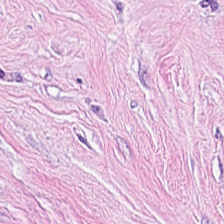H&E.
Q: What tissue type is shown here?
A: It is cancer-associated stroma.
